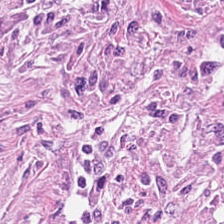H&E; brightfield; FFPE tissue section. Predominantly cancer-associated stroma.
